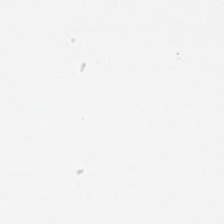0.5 µm per pixel; H&E; brightfield — The classification is no tissue.
